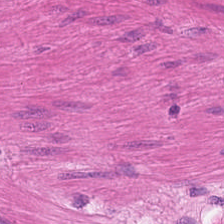Hematoxylin and eosin. FFPE. 224×224 px patch — Tissue: smooth-muscle tissue.
